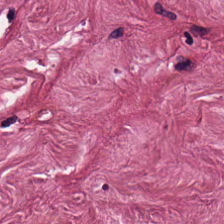0.5 µm per pixel. Hematoxylin and eosin — Q: What is shown here?
A: This is cancer-associated stroma.
